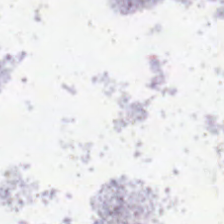H&E. Q: What does this patch show?
A: Background.
